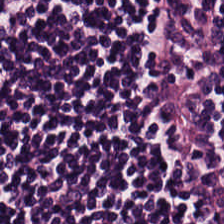Tissue type: lymphocyte aggregate.
